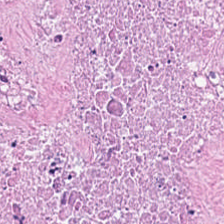H&E-stained tissue section · 0.5 µm per pixel — The tissue is necrotic debris.
